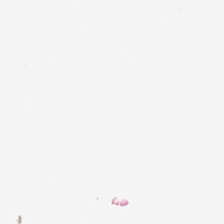H&E-stained tissue section; 0.5 microns per pixel; brightfield microscopy. Q: What does this patch show?
A: This is no tissue.
